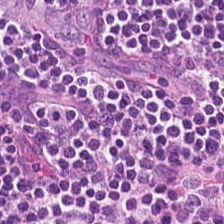H&E-stained tissue section.
The predominant tissue is lymphocyte aggregate.
